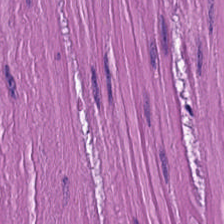Stain: hematoxylin and eosin.
Classification: smooth muscle.
